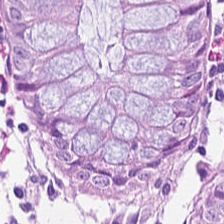H&E — normal colonic mucosa.
